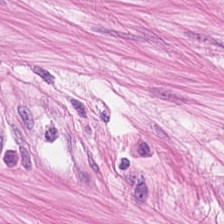Hematoxylin-and-eosin stained section · formalin-fixed paraffin-embedded section.
Q: Identify the tissue.
A: The field shows muscularis.
